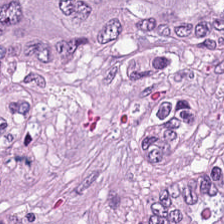{"tissue_type": "colorectal adenocarcinoma"}
